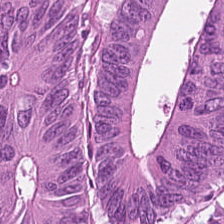The tissue class is tumor epithelium.
